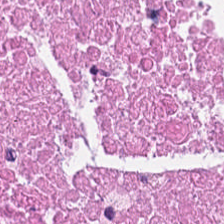H&E stain · 0.5 µm per pixel · formalin-fixed paraffin-embedded section — Debris.
